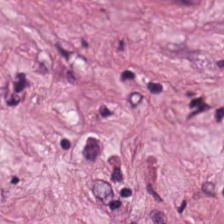Hematoxylin and eosin; FFPE tissue section. Predominantly tumor-associated stroma.
